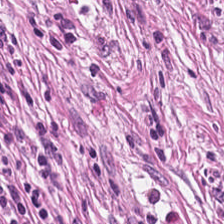Stain: hematoxylin-and-eosin stained section.
Tissue type: tumor-associated stroma.
